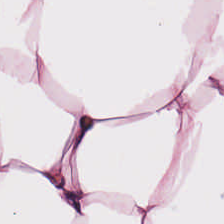Stain: hematoxylin and eosin.
Acquisition: brightfield microscopy.
Preparation: FFPE.
Tissue: adipocytes.
